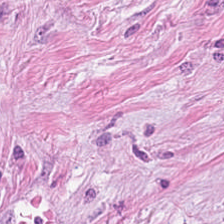H&E-stained tissue section; 0.5 microns per pixel.
This patch shows tumor-associated stroma.
